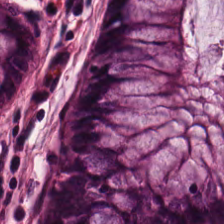Hematoxylin and eosin — Tissue class = normal colonic mucosa.
